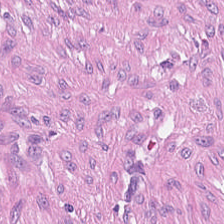Hematoxylin-and-eosin stained section. FFPE tissue section. 0.5 microns per pixel.
Finding → tumor-associated stroma.
